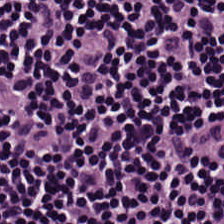Stain: H&E.
Tissue type: lymphocytes.
